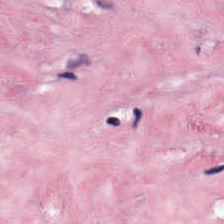This patch shows tumor stroma.
